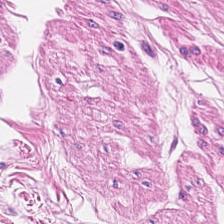H&E.
Showing muscularis.
